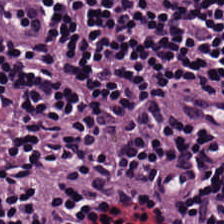H&E-stained tissue section. 0.5 µm/px.
Classification = lymphocytes.
